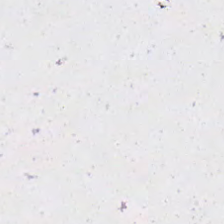Stain: hematoxylin-and-eosin stained section.
Field content: no tissue.
